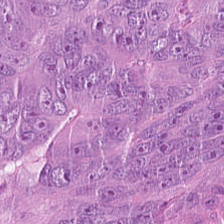224×224 px tile. Hematoxylin-and-eosin stained section.
The tissue here is colorectal adenocarcinoma.
